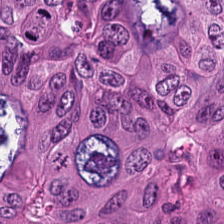H&E stain; whole-slide-image patch; 224×224 pixel tile — {"tissue_type": "colorectal adenocarcinoma"}
